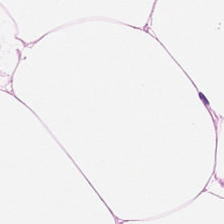{"tissue_type": "fat tissue"}
